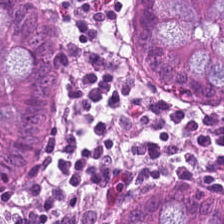Hematoxylin and eosin. 0.5 microns per pixel — Q: What does this patch show?
A: This is non-neoplastic colon mucosa.
